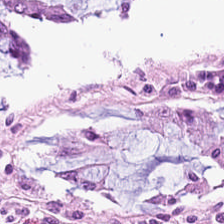Classification — normal colonic mucosa.
